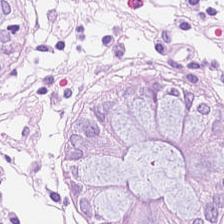Hematoxylin and eosin. Tissue class: normal colon mucosa.
